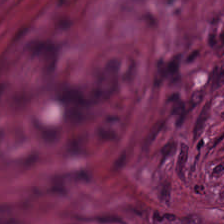H&E stain · 20× equivalent magnification · WSI patch — Q: What does this patch show?
A: Tumor stroma.
